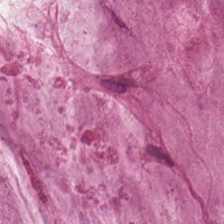Hematoxylin and eosin — {"tissue_type": "extracellular mucin"}
